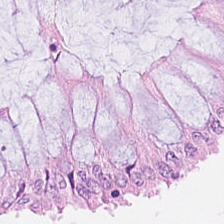Brightfield · hematoxylin and eosin · 224×224 px patch — The predominant tissue is normal colonic mucosa.
